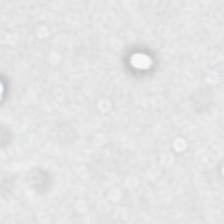Q: What does this patch show?
A: This is background.
